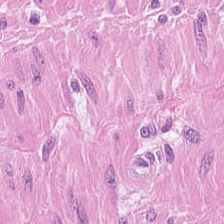Classification: muscularis.
